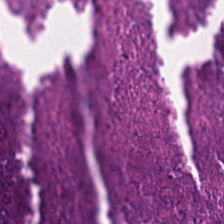Stain: hematoxylin and eosin.
Tile size: 224×224 px tile.
Acquisition: brightfield.
Tissue: cellular debris.
